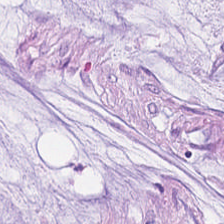H&E — This patch shows extracellular mucin.
